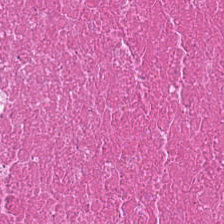Hematoxylin-and-eosin stained section.
Showing debris.
